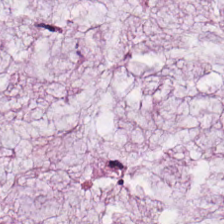Hematoxylin-and-eosin section: mucin.
